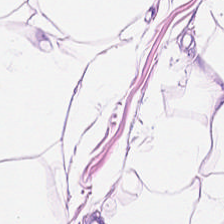FFPE tissue section; 0.5 µm per pixel; H&E.
This field is fat tissue.
